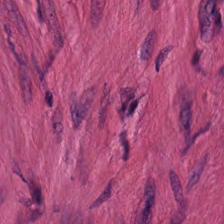Hematoxylin and eosin.
The tissue here is muscularis.
